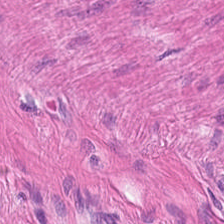Formalin-fixed paraffin-embedded section; H&E-stained tissue section. Tissue class = muscularis.
